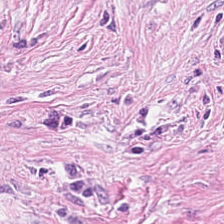224×224 px tile · H&E-stained tissue section.
The tissue here is tumor stroma.
